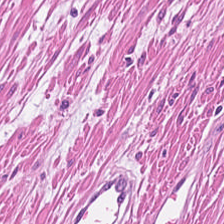H&E.
Tissue class = smooth-muscle tissue.
